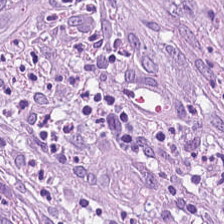H&E — desmoplastic stroma.
